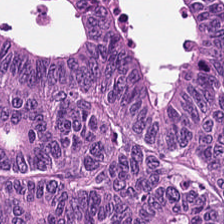H&E-stained tissue section. FFPE — This field is colorectal adenocarcinoma.
